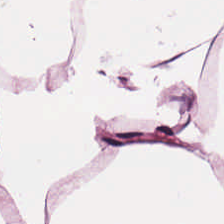Formalin-fixed paraffin-embedded section. Hematoxylin and eosin. 0.5 µm/px. {"tissue_type": "adipose"}
